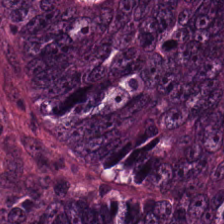H&E stain.
Tissue type: adenocarcinoma.
